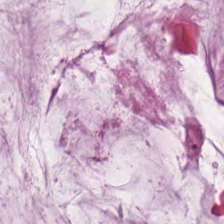Q: What tissue type is shown here?
A: The field shows extracellular mucin.
